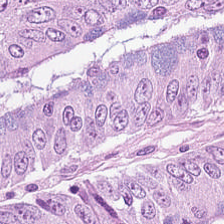Stain: H&E.
Preparation: formalin-fixed paraffin-embedded section.
Tissue class: tumor epithelium.
